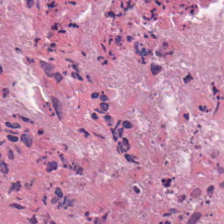H&E.
The predominant tissue is debris.
